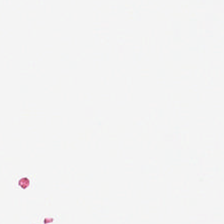H&E-stained tissue section.
Classification: background (no tissue).
